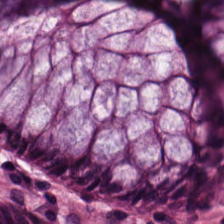Hematoxylin-and-eosin stained section; 224×224 px tile.
{"tissue_type": "normal colon mucosa"}
